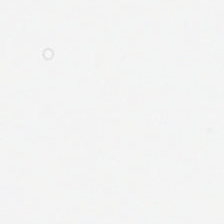H&E · formalin-fixed paraffin-embedded section — Content = background.
